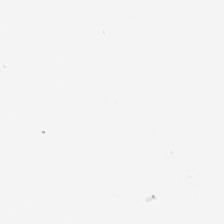H&E. 0.5 microns per pixel.
Background (no tissue).
